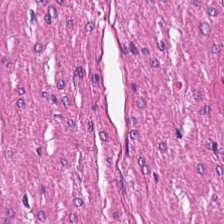Stain: H&E.
Tissue class: muscularis.
